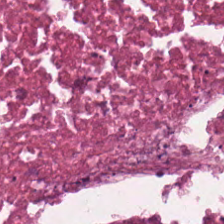This patch shows debris.
